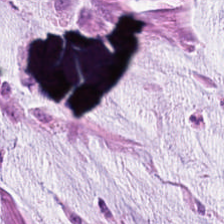Stain: hematoxylin and eosin.
Preparation: formalin-fixed paraffin-embedded section.
Acquisition: brightfield microscopy.
Classification: mucin.
